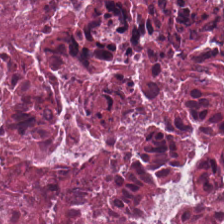Hematoxylin and eosin; FFPE tissue section — Impression — necrotic debris.
